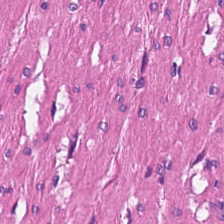FFPE · H&E stain. Predominant tissue — smooth muscle.
